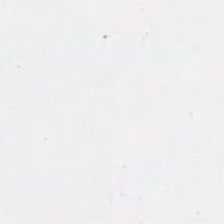H&E · 224×224 px patch · 0.5 microns per pixel — Content = no tissue.
